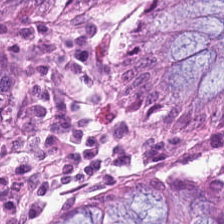Q: What is shown here?
A: This is benign colonic mucosa.
